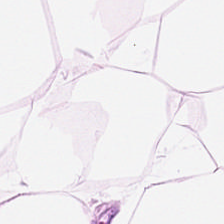0.5 µm per pixel; 224×224 px tile; H&E-stained tissue section. Predominantly adipocytes.
